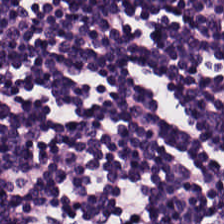224×224 pixel tile · H&E stain. Finding — lymphocyte aggregate.
